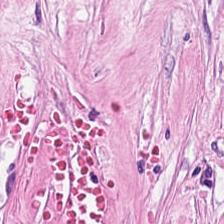Hematoxylin and eosin — {"tissue_type": "cancer-associated stroma"}
